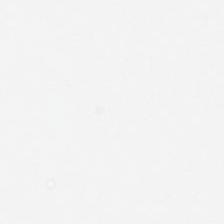H&E-stained tissue section. Whole-slide-image patch — Background — no tissue in this field.
